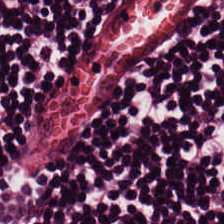Hematoxylin-and-eosin stained section · 20× equivalent magnification. Lymphoid infiltrate.
